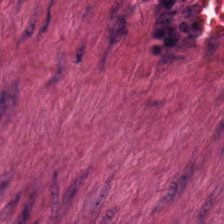Tissue = smooth muscle.
